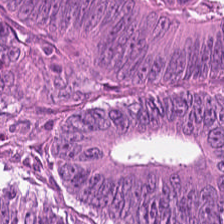H&E-stained tissue section.
Predominantly colorectal adenocarcinoma.
